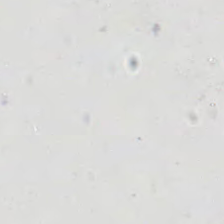Stain: H&E stain.
Acquisition: WSI patch.
Classification: background (no tissue).
